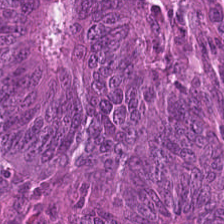224×224 px patch; WSI patch; hematoxylin and eosin — Tissue = colorectal adenocarcinoma.
